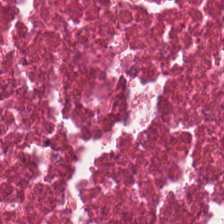Formalin-fixed paraffin-embedded section; hematoxylin-and-eosin stained section.
Showing debris.
